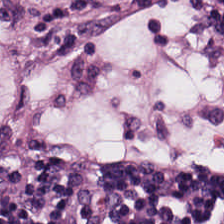H&E — Lymphocytes.
